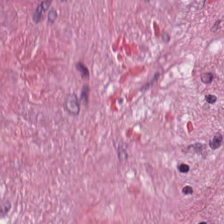Whole-slide-image patch; hematoxylin-and-eosin stained section.
Q: What is shown here?
A: The field shows tumor stroma.
